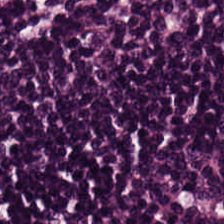H&E stain. FFPE. Finding — lymphocytic infiltrate.
